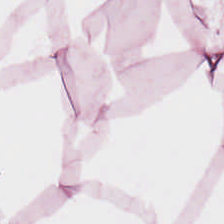Hematoxylin-and-eosin stained section · brightfield · 0.5 µm/px.
Q: What does this patch show?
A: The field shows adipose tissue.
